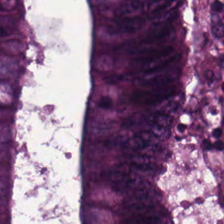Q: What is the predominant tissue type?
A: The field shows adenocarcinoma.
